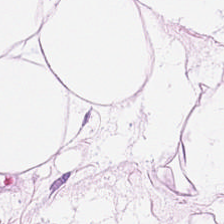Stain: H&E-stained tissue section.
Acquisition: WSI patch.
Predominant tissue: adipose tissue.
